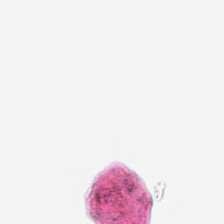This patch shows background (no tissue).
